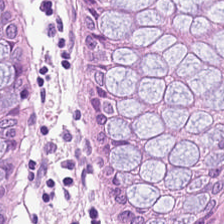Stain: H&E-stained tissue section.
Tissue class: normal colonic mucosa.
